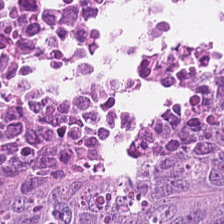H&E-stained tissue section; 20× equivalent magnification. Showing colorectal adenocarcinoma.
